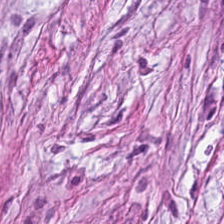H&E-stained tissue section; brightfield.
Predominant tissue = desmoplastic stroma.
